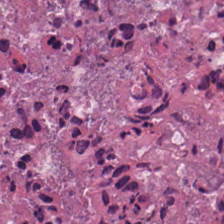Hematoxylin-and-eosin stained section.
Tissue: cellular debris.
